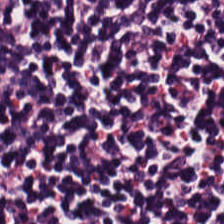0.5 microns per pixel. H&E. Formalin-fixed paraffin-embedded section. Predominantly lymphocytes.
